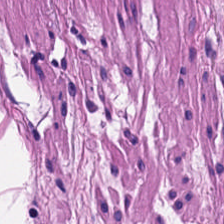H&E-stained tissue section. Showing smooth-muscle tissue.
